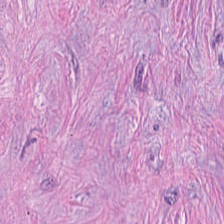H&E stain. Predominantly desmoplastic stroma.
